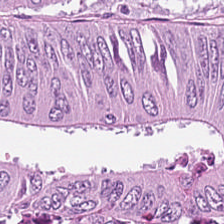Hematoxylin-and-eosin stained section. This field is colorectal adenocarcinoma epithelium.
